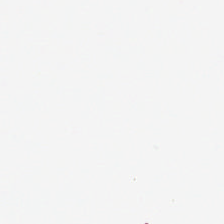H&E-stained tissue section — The classification is empty background.
